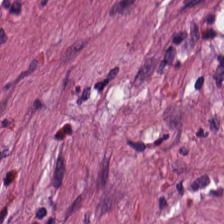H&E · WSI patch · FFPE. This patch shows tumor stroma.
